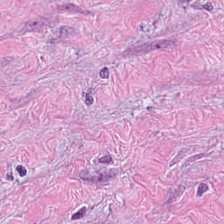0.5 µm/px · H&E stain — Tissue type = cancer-associated stroma.
